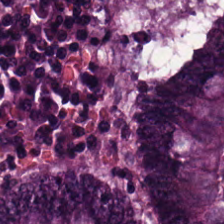Hematoxylin and eosin.
Tumor epithelium.
